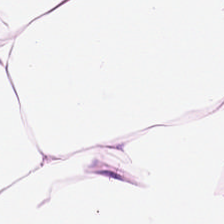H&E.
This patch shows fat tissue.
